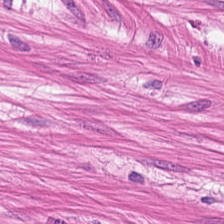H&E. 0.5 µm per pixel. The predominant tissue is muscularis.
